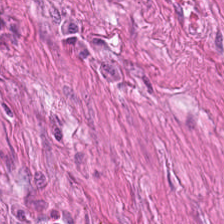Stain: H&E stain.
Tissue type: smooth muscle.
